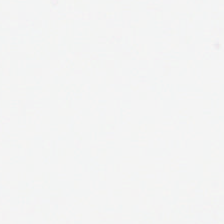H&E stain. {"content": "empty background"}
